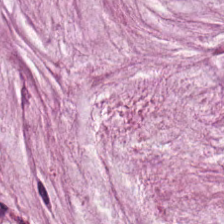H&E stain · brightfield microscopy — Impression — extracellular mucin.
